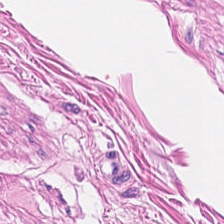H&E-stained tissue section. The tissue type is smooth-muscle tissue.
